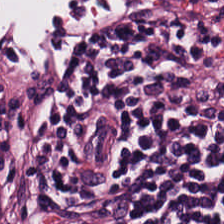Hematoxylin-and-eosin stained section · formalin-fixed paraffin-embedded section.
{"tissue_type": "lymphocytic infiltrate"}
